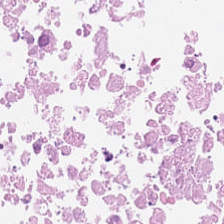H&E.
Q: Classify this patch.
A: Necrotic debris.
